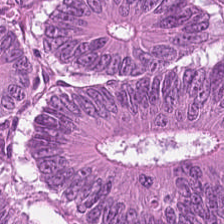Hematoxylin and eosin.
The tissue type is tumor epithelium.
